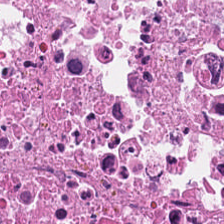H&E stain — Q: What type of tissue is this?
A: The field shows necrotic debris.
